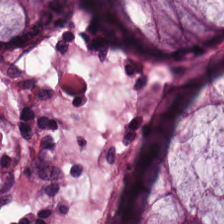Hematoxylin and eosin.
Predominant tissue = normal colon mucosa.
